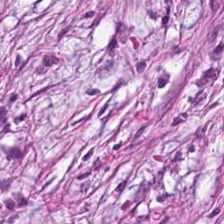Hematoxylin and eosin · 0.5 µm/px.
Tissue class — desmoplastic stroma.
